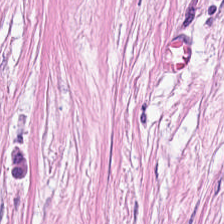Stain: H&E stain.
Acquisition: whole-slide-image patch.
Preparation: formalin-fixed paraffin-embedded section.
Classification: cancer-associated stroma.
